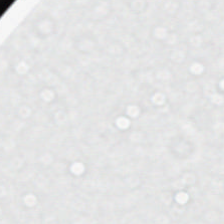H&E stain. 224×224 px patch — Finding → no tissue.
